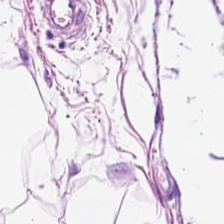H&E-stained tissue section — Showing adipocytes.
